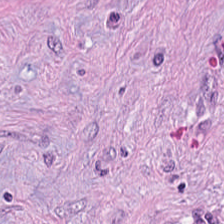H&E-stained tissue section; 224×224 px tile. The predominant tissue is cancer-associated stroma.
